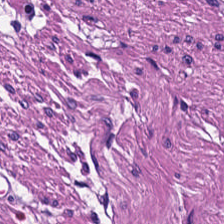This patch shows smooth-muscle tissue.
